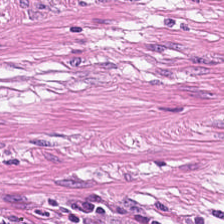224×224 px patch. H&E stain.
Predominant tissue = smooth-muscle tissue.
